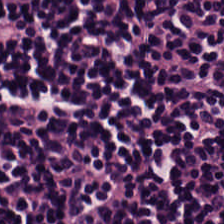Stain: hematoxylin-and-eosin stained section.
Classification: lymphocytic infiltrate.
